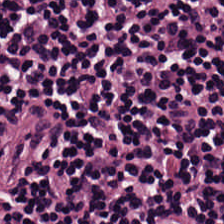Brightfield microscopy · H&E-stained tissue section. Tissue type = lymphocytes.
